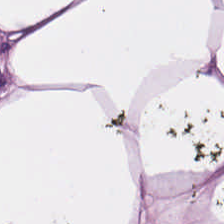H&E stain. The tissue type is adipose.
